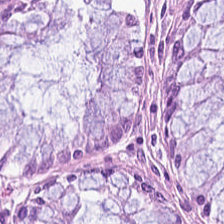Non-neoplastic colon mucosa.
